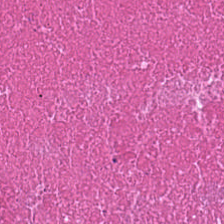224×224 px patch. H&E-stained tissue section.
Q: Classify this patch.
A: The field shows debris.
